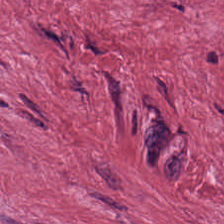0.5 µm/px · H&E · whole-slide-image patch.
Predominantly cancer-associated stroma.
